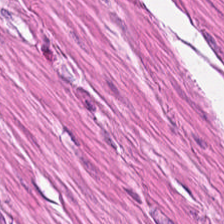Stain: H&E-stained tissue section.
Classification: smooth muscle.
